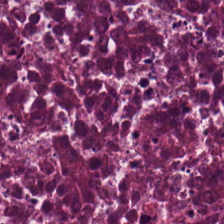Hematoxylin and eosin. {"tissue_type": "necrotic debris"}
